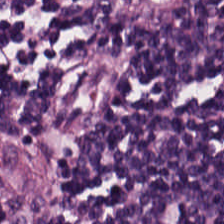H&E-stained tissue section · WSI patch · 224×224 px patch — Lymphocyte aggregate.
